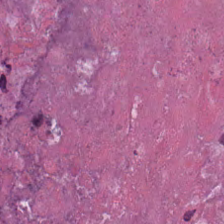H&E · 224×224 px patch. The tissue here is debris.
